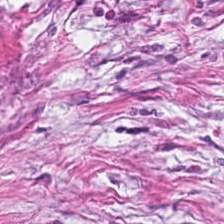Stain: H&E-stained tissue section.
Preparation: FFPE.
Classification: cancer-associated stroma.
